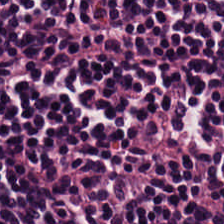The tissue here is lymphocytes.
